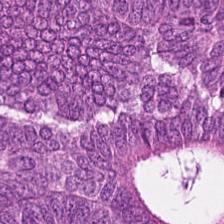H&E-stained tissue section — Q: What is shown here?
A: The field shows colorectal adenocarcinoma.
